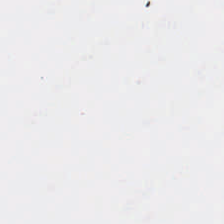This field is background (no tissue).
